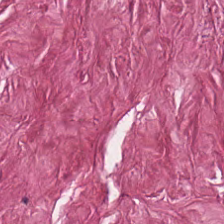Stain: hematoxylin and eosin.
Tissue class: tumor stroma.
